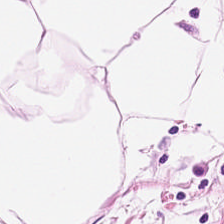Hematoxylin-and-eosin stained section · 224×224 px patch.
Q: What type of tissue is this?
A: It is adipocytes.
